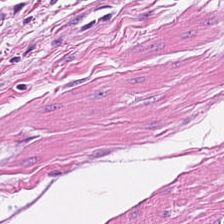H&E stain. 224×224 pixel tile. FFPE tissue section — Predominantly smooth-muscle tissue.
